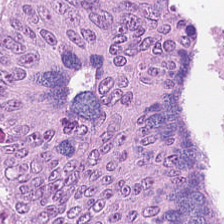FFPE tissue section · 20× equivalent magnification · H&E. {"tissue_type": "colorectal adenocarcinoma epithelium"}
